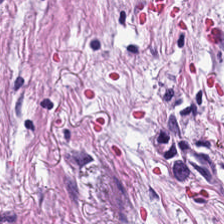Brightfield; H&E stain — The predominant tissue is cancer-associated stroma.
